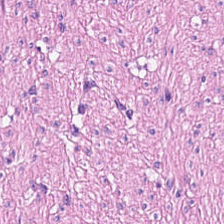H&E. The tissue type is muscularis.
